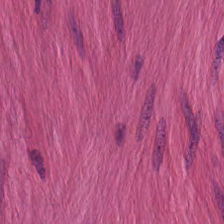Tissue = smooth muscle.
